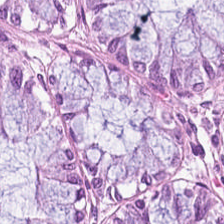H&E-stained tissue section. Brightfield — The predominant tissue is benign colonic mucosa.
